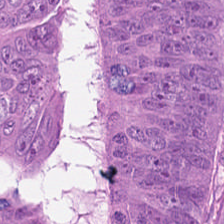H&E — This patch shows tumor epithelium.
